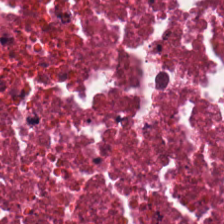H&E; brightfield.
Finding → cellular debris.
